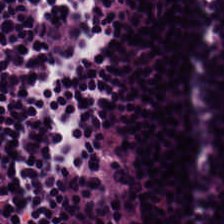H&E stain. The predominant tissue is lymphoid infiltrate.
